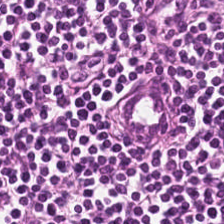Tissue class: lymphocytes.
